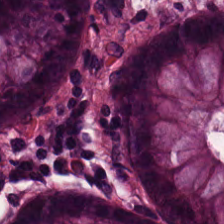Hematoxylin and eosin — Q: What is shown here?
A: This is benign colonic mucosa.
